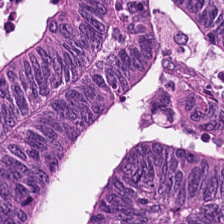0.5 µm per pixel · H&E. Adenocarcinoma.
